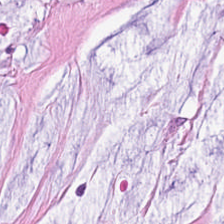Hematoxylin-and-eosin stained section · 224×224 pixel tile · brightfield.
This patch shows extracellular mucin.
